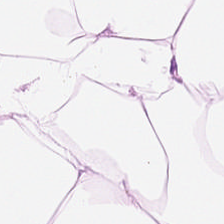Finding → adipose.
